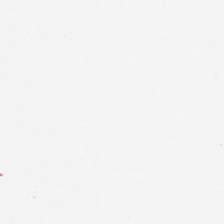This patch shows background (no tissue).
